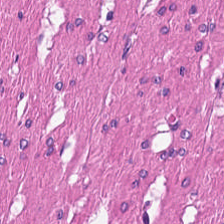Hematoxylin and eosin — Tissue type = muscularis.
